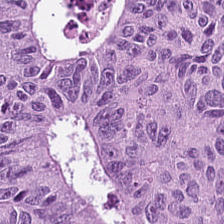H&E patch showing colorectal adenocarcinoma epithelium.
